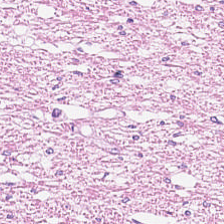Hematoxylin and eosin — Tissue type: smooth muscle.
